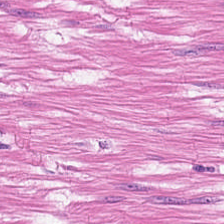H&E stain. Histology — muscularis.
